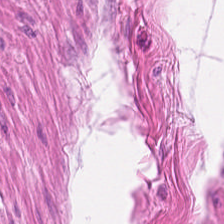Tissue class = smooth-muscle tissue.
